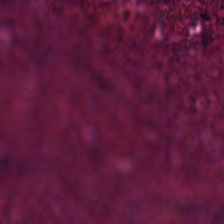Hematoxylin and eosin.
Tissue type: debris.
